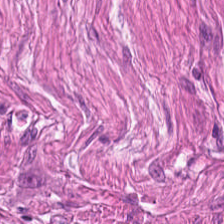H&E-stained tissue section.
Showing smooth muscle.
